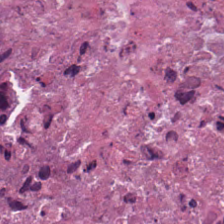Q: Identify the tissue.
A: Cellular debris.
